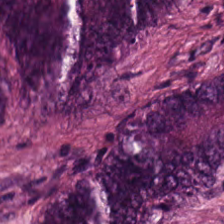FFPE · H&E stain · 224×224 pixel tile — Predominant tissue — colorectal adenocarcinoma.
